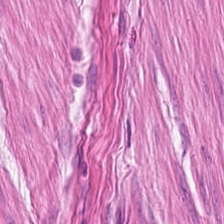0.5 microns per pixel. Brightfield. Hematoxylin-and-eosin stained section — Q: Identify the tissue.
A: This is smooth-muscle tissue.
